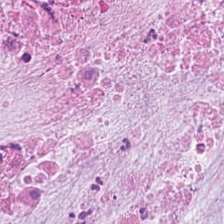Histology → extracellular mucin.
